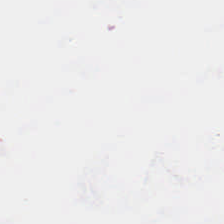H&E-stained tissue section.
This field is background (no tissue).
